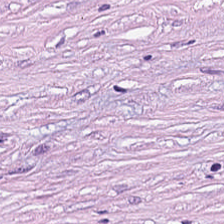Tissue type — desmoplastic stroma.
